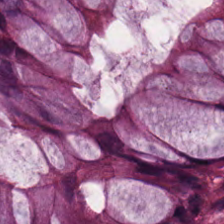Stain: hematoxylin and eosin.
Tile size: 224×224 px tile.
Classification: benign colonic mucosa.
